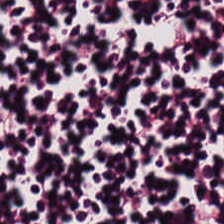Hematoxylin and eosin · brightfield microscopy · 20× equivalent magnification. Predominantly lymphocytic infiltrate.
